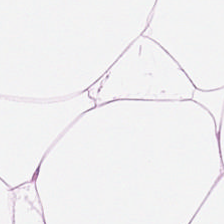H&E-stained tissue section — Histology — adipocytes.
